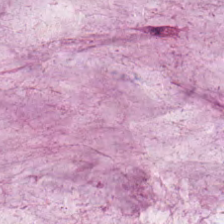H&E; 224×224 px tile. Mucin.
